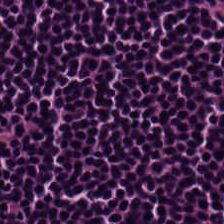Hematoxylin and eosin · whole-slide-image patch · 0.5 µm/px — Predominantly lymphocytes.
